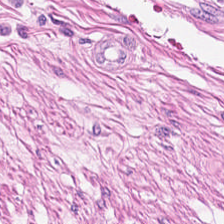20× equivalent magnification; H&E — Tissue type — smooth muscle.
